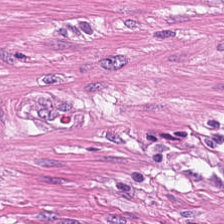H&E stain.
Smooth-muscle tissue.
